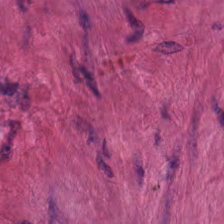H&E stain — Showing smooth muscle.
